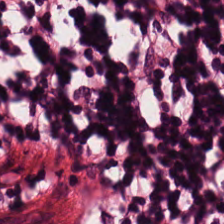Hematoxylin-and-eosin section: lymphocyte aggregate.
